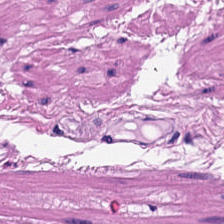H&E. The predominant tissue is muscularis.
